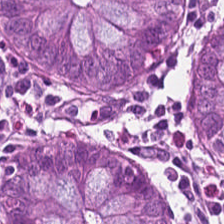Brightfield; hematoxylin and eosin. The tissue here is normal colon mucosa.
